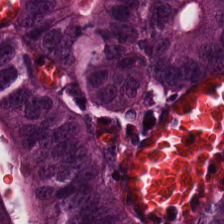Tissue class: adenocarcinoma.
